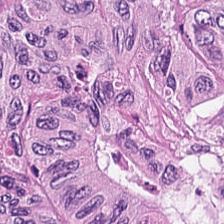H&E stain; 224×224 px tile; brightfield microscopy. Tissue class = colorectal adenocarcinoma.
